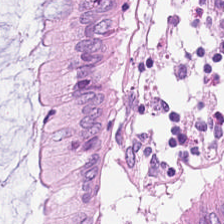Hematoxylin and eosin — Finding — normal colon mucosa.
